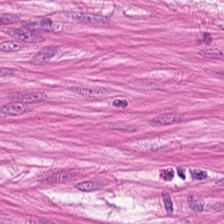{"tissue_type": "smooth muscle"}
